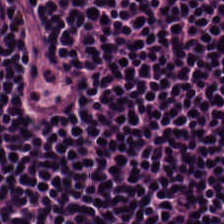H&E-stained section; the field shows lymphocytic infiltrate.
